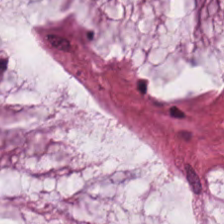Finding — extracellular mucin.
